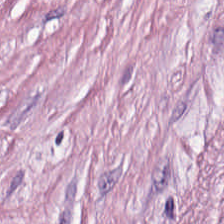H&E stain.
The tissue type is cancer-associated stroma.
